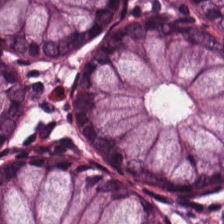Stain: hematoxylin-and-eosin stained section.
Acquisition: brightfield.
Tile size: 224×224 px tile.
Predominant tissue: benign colonic mucosa.
